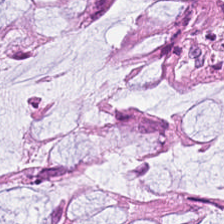Brightfield; H&E-stained tissue section.
The classification is non-neoplastic colon mucosa.
